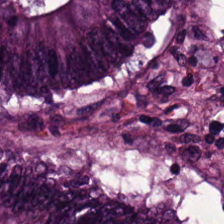224×224 pixel tile; H&E-stained tissue section; FFPE tissue section. Finding → colorectal adenocarcinoma.
